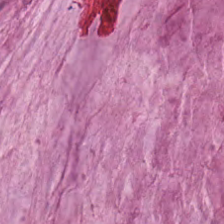H&E stain.
This field is mucus.
